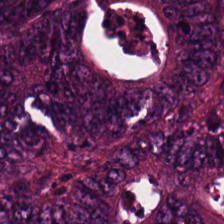224×224 px patch. H&E. The tissue here is adenocarcinoma.
